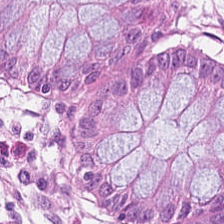Hematoxylin-and-eosin stained section. Finding — non-neoplastic colon mucosa.
